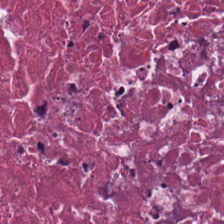Hematoxylin-and-eosin stained section — This patch shows cellular debris.
